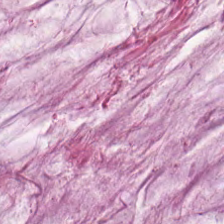0.5 µm/px · hematoxylin-and-eosin stained section — {"tissue_type": "extracellular mucin"}
